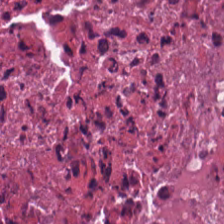0.5 microns per pixel; 224×224 px tile; hematoxylin and eosin — Predominant tissue — necrotic debris.
